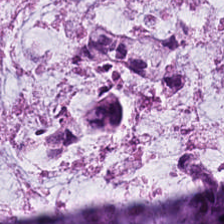Tissue class: mucus.
